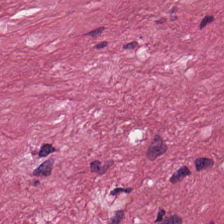Hematoxylin and eosin; 224×224 px tile — Predominant tissue — tumor stroma.
